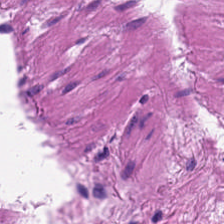Hematoxylin-and-eosin stained section. Brightfield microscopy — Histology — muscularis.
